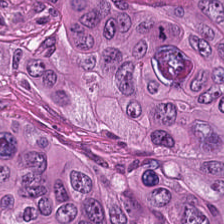H&E — Q: What tissue is shown?
A: Adenocarcinoma.
